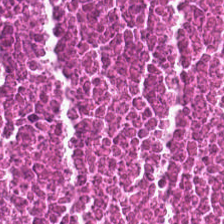Hematoxylin-and-eosin stained section. FFPE.
Q: What is the predominant tissue type?
A: This is necrotic debris.
